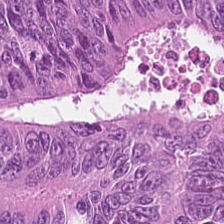Stain: H&E stain.
Tissue class: malignant epithelium.
